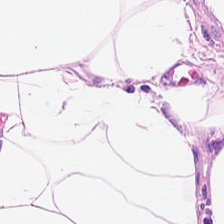Stain: H&E-stained tissue section.
Classification: adipose tissue.
